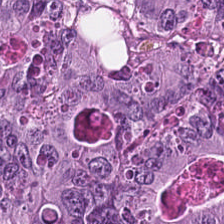H&E-stained tissue section. Tissue = colorectal adenocarcinoma.
